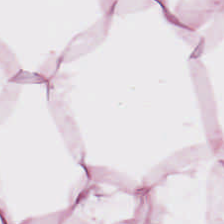Hematoxylin and eosin. Q: What is shown here?
A: This is adipose.
